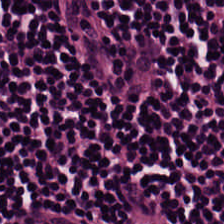Stain: H&E.
Tissue class: lymphocytes.
